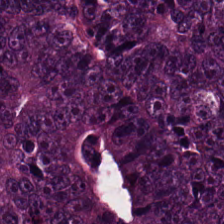FFPE tissue section · H&E — Showing malignant epithelium.
